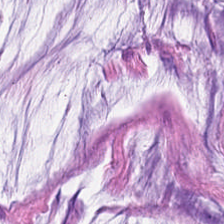H&E. FFPE tissue section.
The tissue is mucus.
